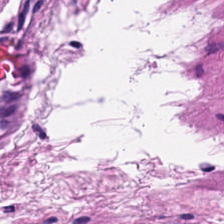Classification: muscularis.
